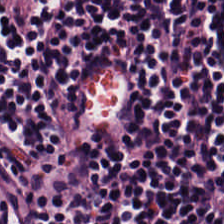Q: What tissue type is shown here?
A: It is lymphoid infiltrate.
